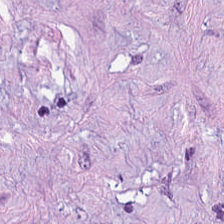20× equivalent magnification; whole-slide-image patch; hematoxylin-and-eosin stained section.
Classification: tumor stroma.
